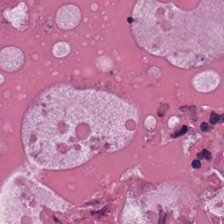H&E-stained section; the field shows debris.
